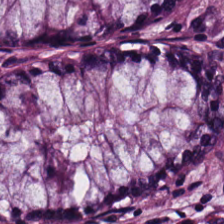224×224 pixel tile · brightfield · H&E-stained tissue section.
This field is normal colon mucosa.
